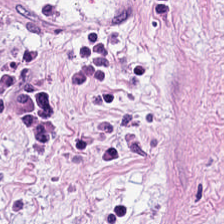Hematoxylin-and-eosin stained section — Showing desmoplastic stroma.
